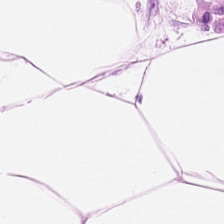20× equivalent magnification. H&E-stained tissue section. The tissue type is adipose tissue.
